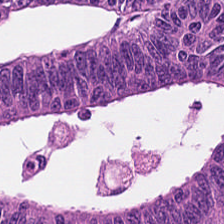Hematoxylin-and-eosin stained section.
This patch shows colorectal adenocarcinoma epithelium.
